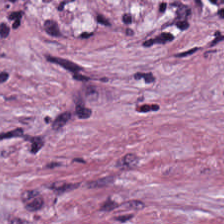Stain: H&E.
Resolution: 0.5 µm per pixel.
Tissue class: desmoplastic stroma.
